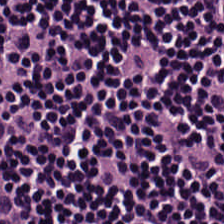H&E-stained tissue section. Whole-slide-image patch. 0.5 microns per pixel. This patch shows lymphocytes.
